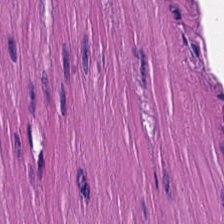H&E stain. The tissue here is muscularis.
